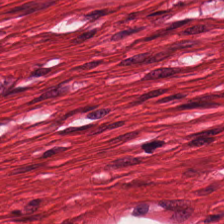Hematoxylin and eosin.
Classification: smooth-muscle tissue.
